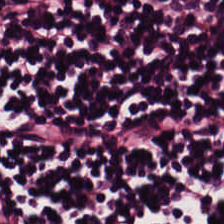224×224 px patch. H&E. WSI patch. Tissue class = lymphoid infiltrate.
